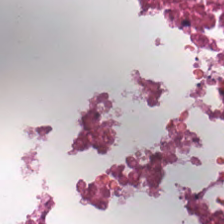H&E stain.
Necrotic debris.
